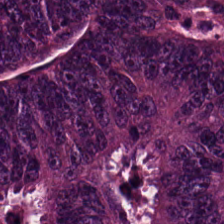Stain: hematoxylin and eosin.
Tissue class: colorectal adenocarcinoma epithelium.
